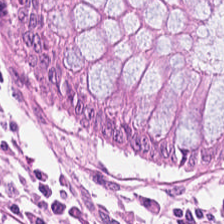H&E stain. Histology — normal colonic mucosa.
